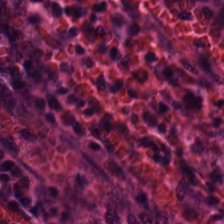Brightfield microscopy; H&E stain — This patch shows normal colonic mucosa.
